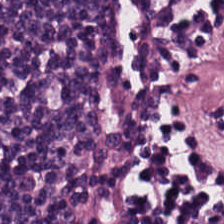0.5 microns per pixel. H&E.
Q: What is shown in this field?
A: It is lymphoid infiltrate.
